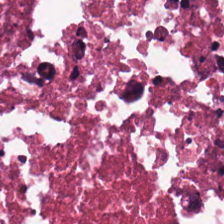Q: What is the predominant tissue type?
A: Debris.
